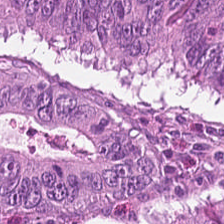Q: What is shown in this field?
A: Colorectal adenocarcinoma epithelium.
